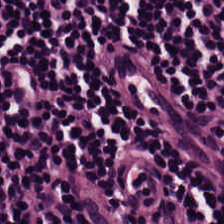The predominant tissue is lymphoid infiltrate.
